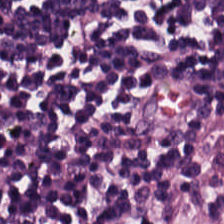H&E-stained tissue section — {"tissue_type": "lymphoid infiltrate"}
